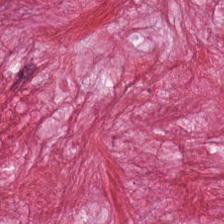This field is cancer-associated stroma.
